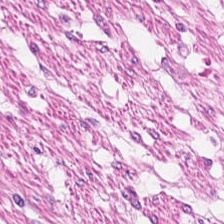Impression → muscularis.
